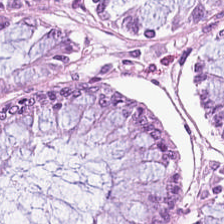Hematoxylin-and-eosin stained section. Benign colonic mucosa.
